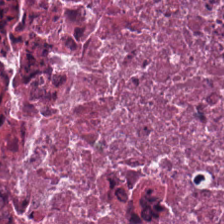Hematoxylin and eosin.
Q: What is shown here?
A: This is cellular debris.
